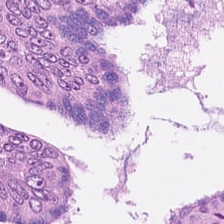0.5 µm per pixel; hematoxylin-and-eosin stained section; whole-slide-image patch — This field is adenocarcinoma.
